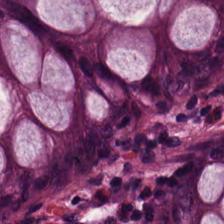Tissue: normal colon mucosa.
